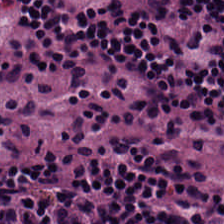H&E-stained tissue section — This patch shows lymphocytic infiltrate.
